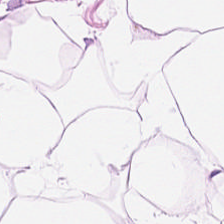H&E-stained tissue section.
Impression — adipocytes.
